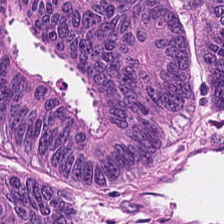The tissue here is adenocarcinoma.
